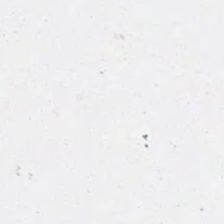H&E-stained tissue section. This patch shows background.
